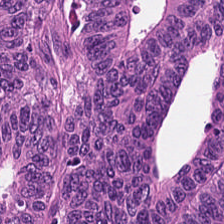WSI patch. H&E-stained tissue section — Predominantly tumor epithelium.
